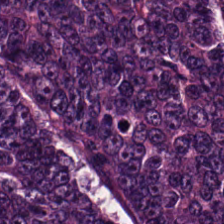The tissue here is tumor epithelium.
